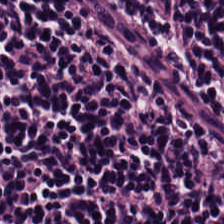Tissue — lymphocytic infiltrate.
